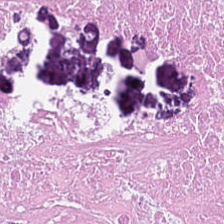Showing necrotic debris.
